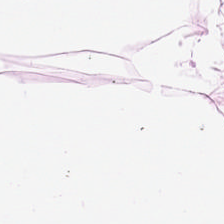224×224 px patch. H&E — Classification: fat tissue.
